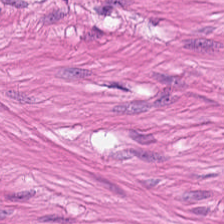Tissue type: muscularis.
